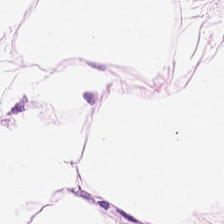224×224 px patch · H&E-stained tissue section · FFPE tissue section. The tissue class is adipose.
